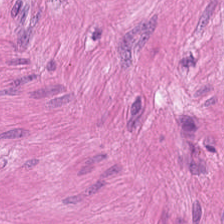Hematoxylin and eosin. Histology — smooth-muscle tissue.
